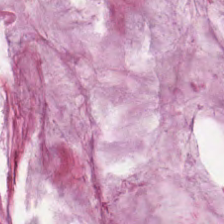Mucus.
